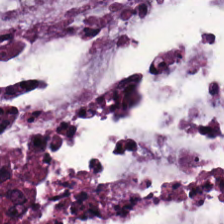Brightfield; H&E.
Q: What tissue is shown?
A: This is extracellular mucin.
